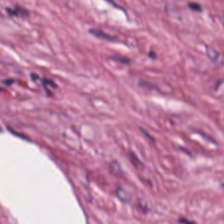224×224 px tile; hematoxylin and eosin.
The predominant tissue is desmoplastic stroma.
